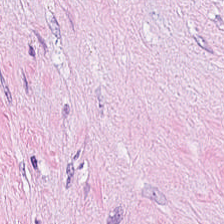Hematoxylin and eosin — Tissue type — tumor-associated stroma.
